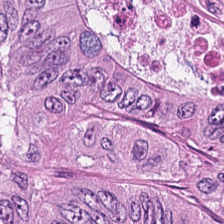H&E-stained tissue section.
Q: Identify the tissue.
A: This is colorectal adenocarcinoma.
